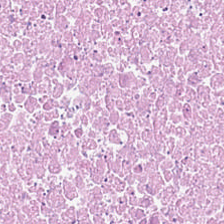Stain: hematoxylin-and-eosin stained section.
Predominant tissue: cellular debris.
